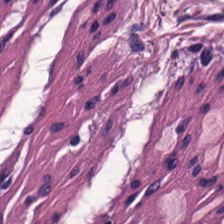Impression — smooth-muscle tissue.
